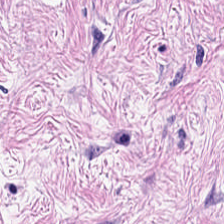{"tissue_type": "tumor stroma"}
